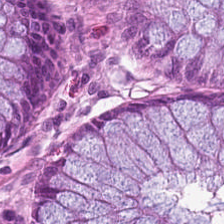Histology — non-neoplastic colon mucosa.
